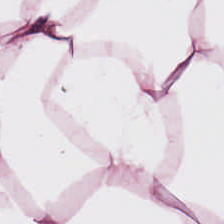H&E stain. Q: What is shown here?
A: Adipose tissue.
